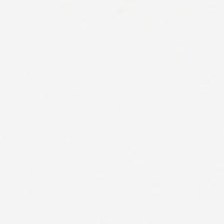Hematoxylin and eosin. Classification: background (no tissue).
